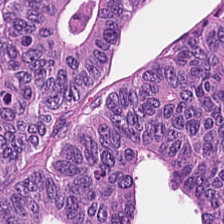This field is colorectal adenocarcinoma.
